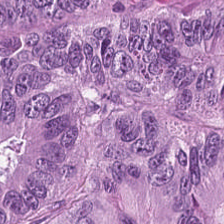The tissue is colorectal adenocarcinoma epithelium.
